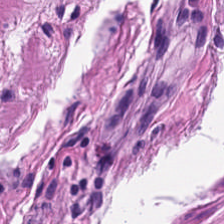{"tissue_type": "muscularis"}
